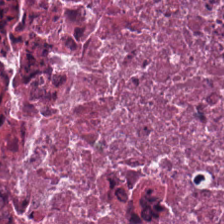H&E-stained tissue section. {"tissue_type": "cellular debris"}
